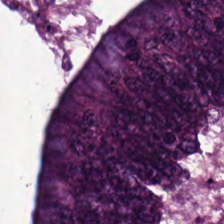H&E.
Finding — adenocarcinoma.
